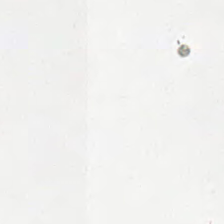No tissue.
